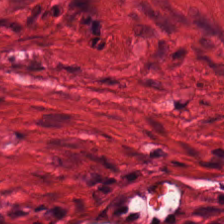224×224 pixel tile. H&E-stained tissue section.
This patch shows smooth muscle.
